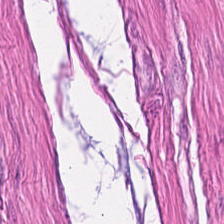Formalin-fixed paraffin-embedded section. 0.5 microns per pixel. H&E stain — Finding → muscularis.
